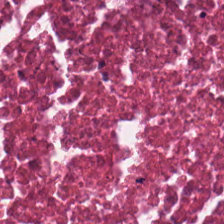H&E.
Predominantly debris.
